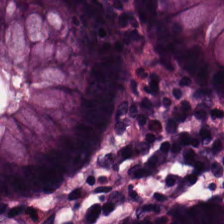H&E stain — Q: What does this patch show?
A: Non-neoplastic colon mucosa.
